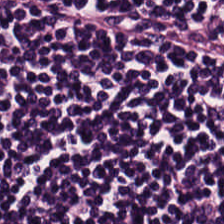H&E-stained tissue section showing lymphocyte aggregate.
